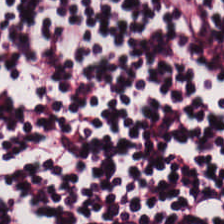Hematoxylin and eosin · formalin-fixed paraffin-embedded section.
This patch shows lymphoid infiltrate.
